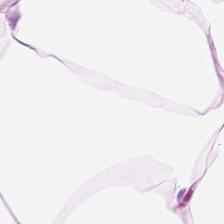0.5 µm per pixel; H&E stain — Q: Classify this patch.
A: The field shows fat tissue.
